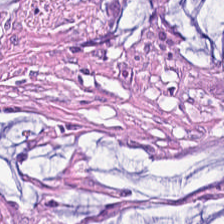Stain: hematoxylin and eosin.
Preparation: formalin-fixed paraffin-embedded section.
Tile size: 224×224 pixel tile.
Tissue class: tumor-associated stroma.
